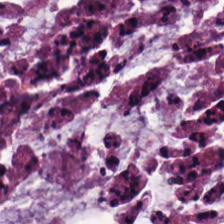H&E stain · 224×224 px patch — The predominant tissue is mucus.
